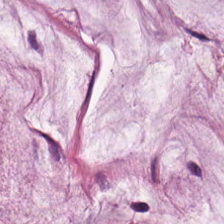FFPE · 224×224 pixel tile · H&E stain.
{"tissue_type": "extracellular mucin"}
